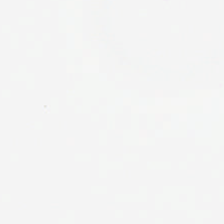Hematoxylin-and-eosin stained section.
The classification is empty background.
